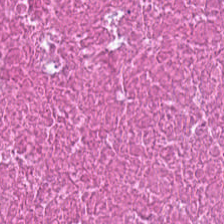FFPE. H&E-stained tissue section.
Q: Classify this patch.
A: This is cellular debris.
